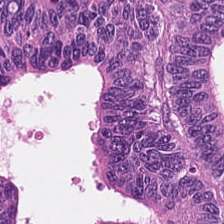H&E stain.
Showing colorectal adenocarcinoma.
